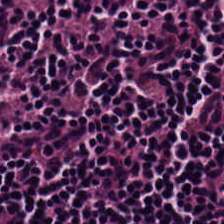224×224 px tile; hematoxylin-and-eosin stained section. This field is lymphocytes.
